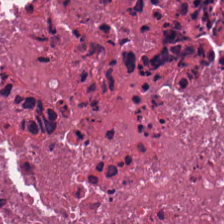H&E. Q: Classify this patch.
A: Debris.
